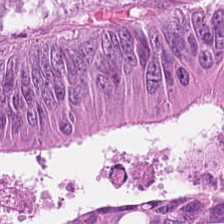H&E — Q: What tissue type is shown here?
A: It is malignant epithelium.
